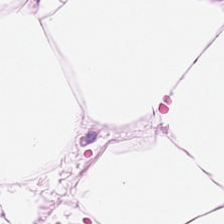Q: What is shown here?
A: Adipose tissue.
